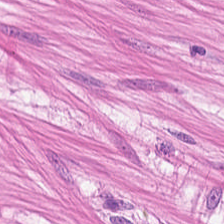Q: What is the predominant tissue type?
A: It is muscularis.
